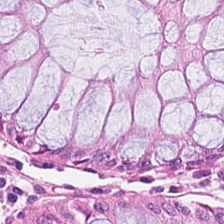224×224 pixel tile · H&E-stained tissue section.
Q: What tissue type is shown here?
A: Normal colon mucosa.
